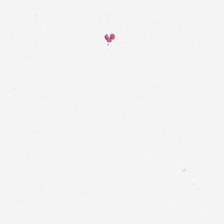This field is background (no tissue).
